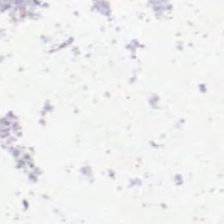H&E; 224×224 px tile. No tissue present; background only.
